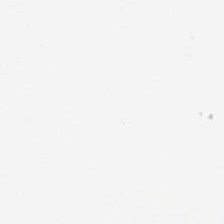No tissue present; background only.
